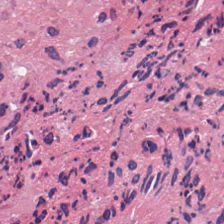Stain: hematoxylin-and-eosin stained section.
Classification: debris.
